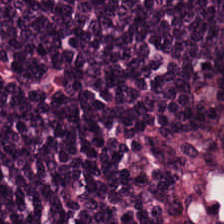Finding — lymphocytic infiltrate.
